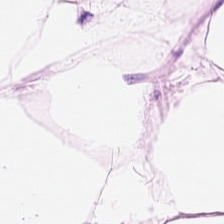224×224 px tile · H&E · 0.5 microns per pixel.
Q: What does this patch show?
A: The field shows adipocytes.
